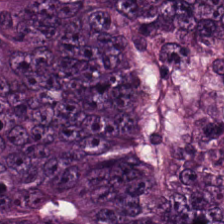Stain: H&E-stained tissue section.
Tile size: 224×224 px patch.
Classification: adenocarcinoma.
